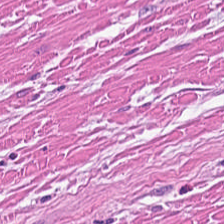H&E-stained tissue section.
Impression → smooth-muscle tissue.
